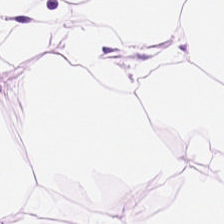Predominant tissue: adipose.
